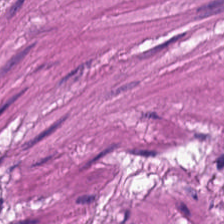Hematoxylin and eosin.
Tissue type — smooth-muscle tissue.
